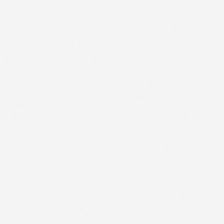H&E stain — The classification is empty background.
